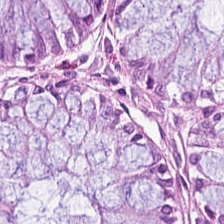Hematoxylin and eosin. This field is benign colonic mucosa.
